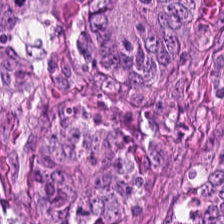Predominantly malignant epithelium.
